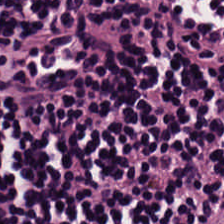FFPE · 20× equivalent magnification · H&E.
Showing lymphocytic infiltrate.
